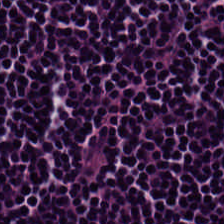H&E — Showing lymphocytes.
